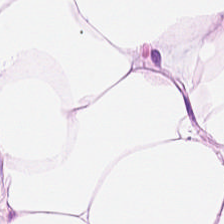Hematoxylin and eosin. Predominant tissue = adipose tissue.
